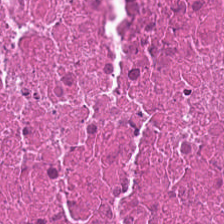{"tissue_type": "cellular debris"}
